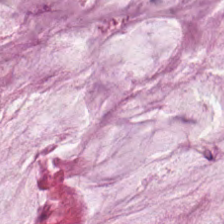0.5 microns per pixel. H&E stain. Classification: mucin.
